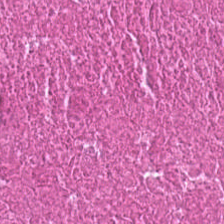Q: What type of tissue is this?
A: This is cellular debris.
